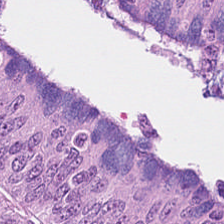Stain: hematoxylin and eosin.
Tissue: colorectal adenocarcinoma epithelium.
